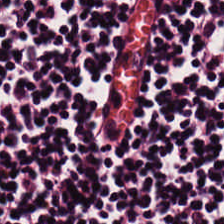Hematoxylin-and-eosin stained section. This patch shows lymphocytes.
